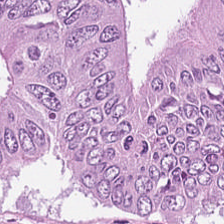Hematoxylin and eosin.
Tissue — adenocarcinoma.
